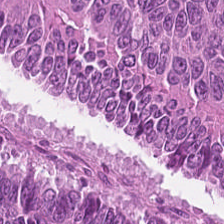224×224 px tile; hematoxylin-and-eosin stained section; 0.5 µm per pixel.
The tissue type is tumor epithelium.
